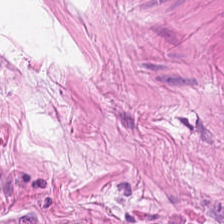224×224 px tile; H&E stain.
Q: What is the predominant tissue type?
A: The field shows muscularis.
